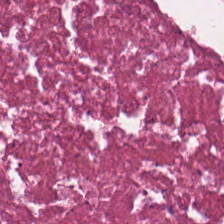Hematoxylin and eosin — Predominantly cellular debris.
